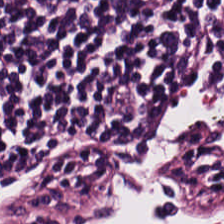H&E stain; 0.5 microns per pixel. Showing lymphocyte aggregate.
